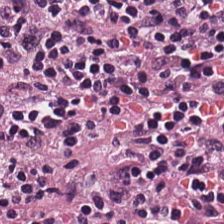H&E patch showing lymphoid infiltrate.
